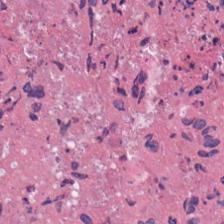The tissue class is necrotic debris.
